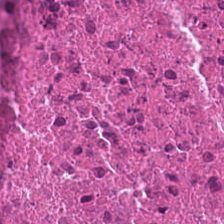224×224 pixel tile; H&E — Tissue type: debris.
